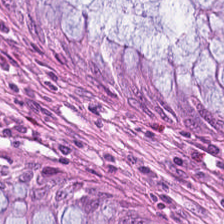Hematoxylin-and-eosin stained section; 224×224 pixel tile; brightfield microscopy.
Predominantly normal colonic mucosa.
